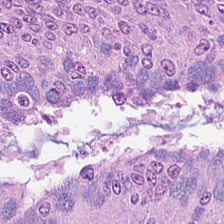Hematoxylin-and-eosin stained section. 224×224 pixel tile — This field is adenocarcinoma.
